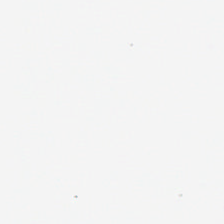Hematoxylin and eosin.
Histology — background (no tissue).
